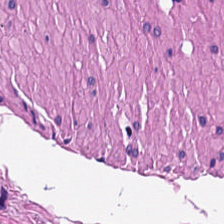Classification: smooth muscle.
